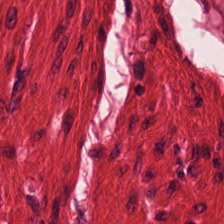H&E patch showing smooth-muscle tissue.
